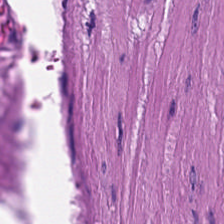224×224 pixel tile; H&E-stained tissue section.
Predominant tissue: smooth muscle.
